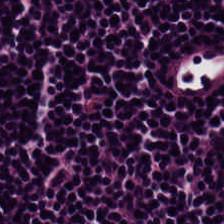The predominant tissue is lymphocyte aggregate.
